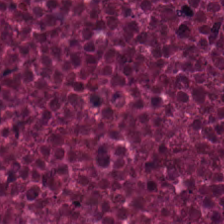Brightfield microscopy; H&E stain.
Predominant tissue = cellular debris.
